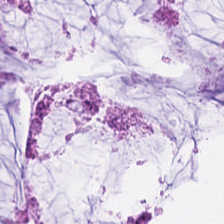Hematoxylin-and-eosin stained section — {"tissue_type": "extracellular mucin"}
